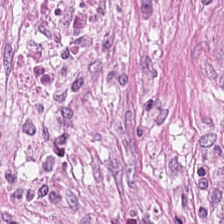Stain: hematoxylin and eosin.
Predominant tissue: desmoplastic stroma.
